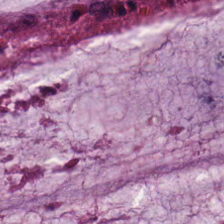20× equivalent magnification. Hematoxylin and eosin.
Q: What is shown here?
A: The field shows mucin.
